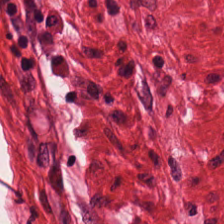H&E. This field is smooth muscle.
